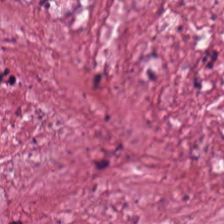H&E stain — Showing cancer-associated stroma.
